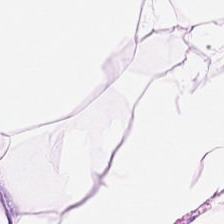Hematoxylin-and-eosin stained section; brightfield; 224×224 px patch.
Tissue class = adipose tissue.
